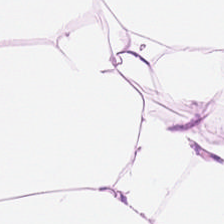H&E — adipose tissue.
